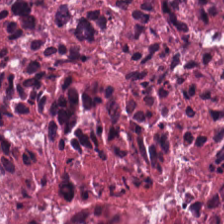Hematoxylin and eosin. Showing cellular debris.
